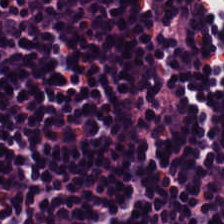Stain: H&E.
Tissue: lymphocytes.
